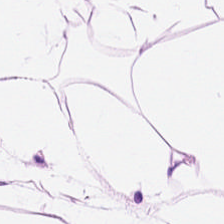H&E stain.
Adipose.
